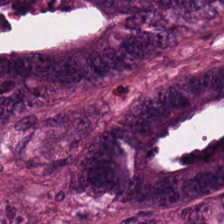224×224 px patch. Hematoxylin-and-eosin stained section — The tissue here is tumor epithelium.
